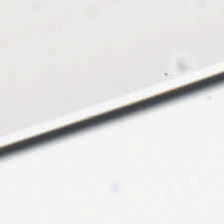Hematoxylin and eosin — This field is background (no tissue).
